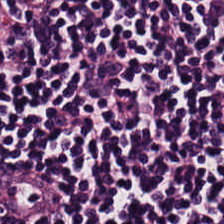H&E.
The predominant tissue is lymphocytes.
